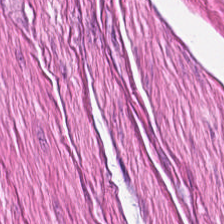H&E stain.
Tissue type: smooth muscle.
